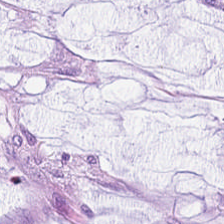H&E stain — Mucus.
